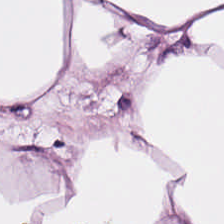H&E stain.
The tissue class is fat tissue.
